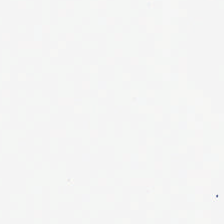Hematoxylin and eosin.
Impression → empty background.
